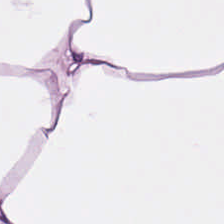Hematoxylin-and-eosin section: adipocytes.
